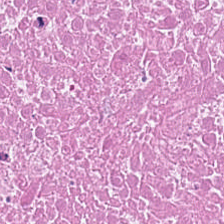{"tissue_type": "cellular debris"}
